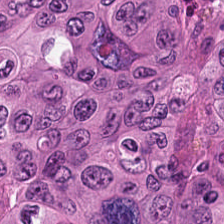H&E.
The tissue here is tumor epithelium.
